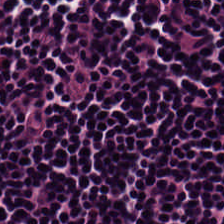The predominant tissue is lymphocytic infiltrate.
